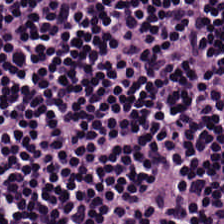H&E.
This patch shows lymphocyte aggregate.
